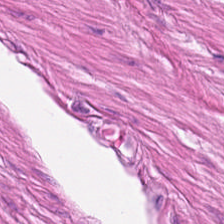20× equivalent magnification; formalin-fixed paraffin-embedded section; H&E.
The tissue here is smooth muscle.
